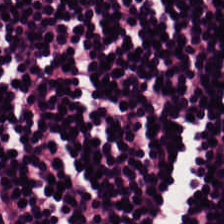Brightfield · H&E-stained tissue section. Impression — lymphocyte aggregate.
